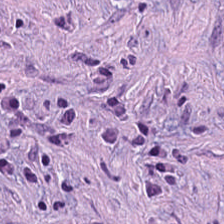H&E — Histology — desmoplastic stroma.
